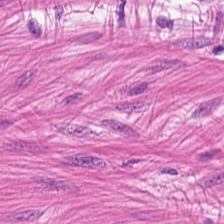H&E. Predominantly muscularis.
